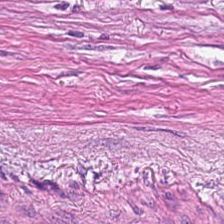Hematoxylin-and-eosin stained section. This field is tumor stroma.
